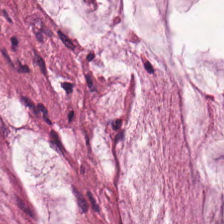H&E stain. 0.5 µm/px — Showing mucin.
